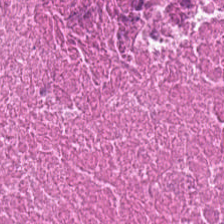H&E. Q: What is the predominant tissue type?
A: It is debris.
